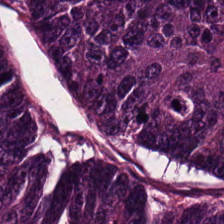H&E. The tissue here is colorectal adenocarcinoma epithelium.
